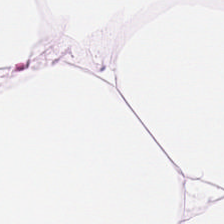Hematoxylin-and-eosin stained section.
Showing adipose.
